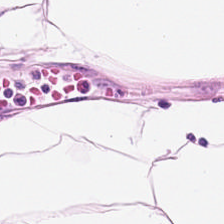0.5 µm per pixel · H&E-stained tissue section. Tissue = adipose.
